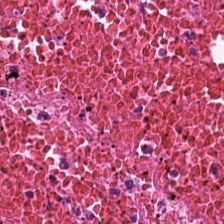224×224 px tile · hematoxylin-and-eosin stained section. Q: What tissue is shown?
A: Debris.
